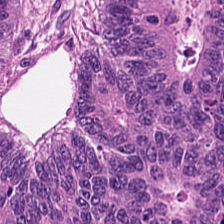Hematoxylin and eosin — Impression — adenocarcinoma.
